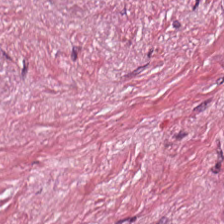224×224 px tile · hematoxylin and eosin · FFPE — Predominant tissue = tumor stroma.
